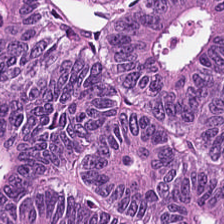0.5 µm/px · H&E stain — The predominant tissue is malignant epithelium.
